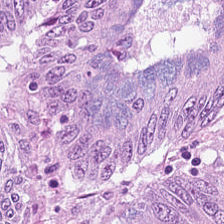H&E stain · formalin-fixed paraffin-embedded section — This field is colorectal adenocarcinoma epithelium.
